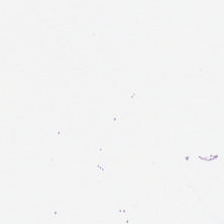Hematoxylin and eosin · brightfield.
This field is background (no tissue).
